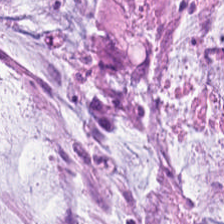Tissue: mucus.
